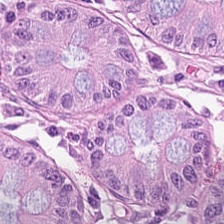H&E-stained tissue section — Tissue class: normal colon mucosa.
